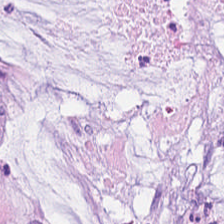Stain: H&E.
Preparation: FFPE.
Tile size: 224×224 pixel tile.
Tissue class: extracellular mucin.
